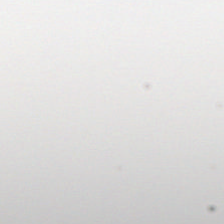Hematoxylin-and-eosin stained section — The classification is background (no tissue).
